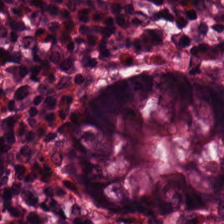Formalin-fixed paraffin-embedded section · hematoxylin and eosin.
Normal colon mucosa.
